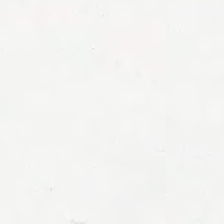Stain: H&E-stained tissue section.
Classification: empty background.
